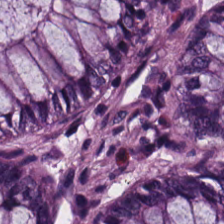224×224 pixel tile · 20× equivalent magnification · H&E stain — The predominant tissue is non-neoplastic colon mucosa.
